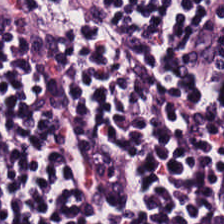Stain: H&E stain.
Predominant tissue: lymphoid infiltrate.
